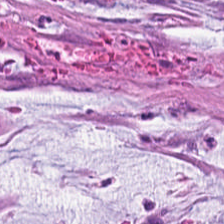Stain: hematoxylin and eosin.
Classification: mucin.
